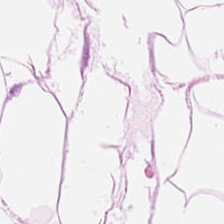H&E. Tissue type = adipose.
